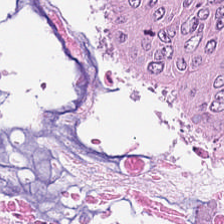H&E. Q: What is shown here?
A: The field shows adenocarcinoma.
